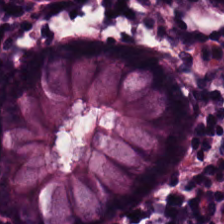H&E stain. The predominant tissue is normal colon mucosa.
